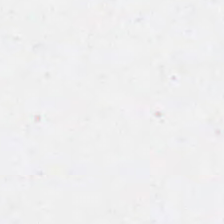H&E. 224×224 px patch. 0.5 µm/px — The content is no tissue.
